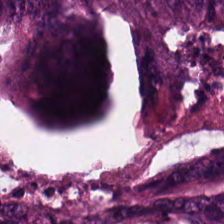H&E stain. The tissue is colorectal adenocarcinoma epithelium.
